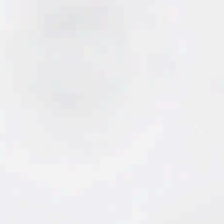Stain: H&E.
Content: empty background.
